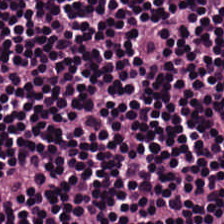H&E; 0.5 µm per pixel. Q: Identify the tissue.
A: Lymphoid infiltrate.
